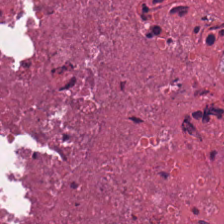Tissue class: debris.
